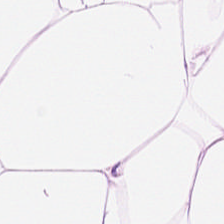224×224 px patch. Hematoxylin-and-eosin stained section. Brightfield microscopy. Tissue class = adipose tissue.
